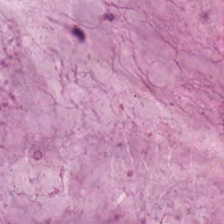Hematoxylin and eosin — Q: What type of tissue is this?
A: It is extracellular mucin.
